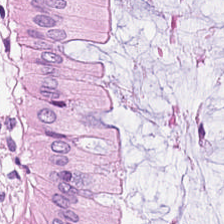0.5 microns per pixel · H&E-stained tissue section.
The classification is normal colonic mucosa.
